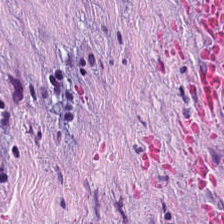The predominant tissue is tumor stroma.
